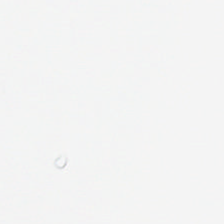H&E stain — Field content = background.
